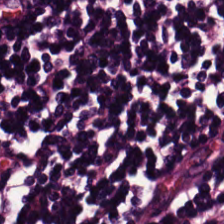Q: What is shown here?
A: This is lymphocytes.
